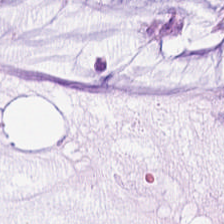224×224 px patch; brightfield; H&E stain.
Tissue class: mucin.
